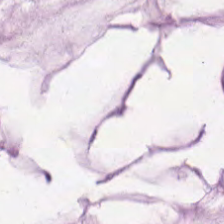Hematoxylin and eosin. Brightfield. FFPE — This field is extracellular mucin.
